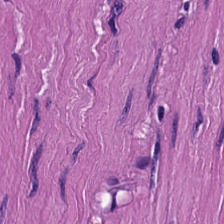Whole-slide-image patch. H&E. Formalin-fixed paraffin-embedded section — Tissue class: smooth-muscle tissue.
